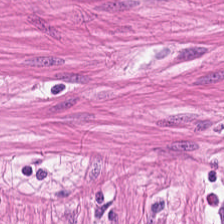Finding → smooth muscle.
